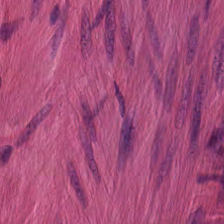224×224 px tile; H&E stain.
Q: What is shown here?
A: The field shows smooth-muscle tissue.
